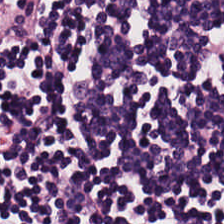0.5 µm/px · brightfield microscopy · hematoxylin-and-eosin stained section.
Q: What is shown here?
A: It is lymphoid infiltrate.
